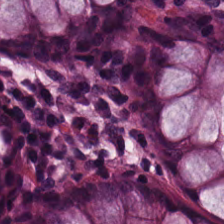Brightfield. FFPE. Hematoxylin-and-eosin stained section. Q: What tissue type is shown here?
A: This is normal colonic mucosa.
